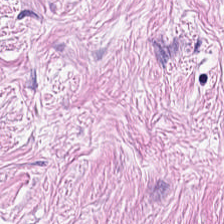0.5 µm/px; H&E-stained tissue section.
The tissue here is cancer-associated stroma.
